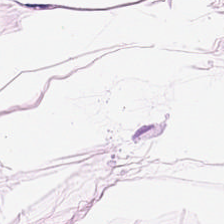H&E · whole-slide-image patch. {"tissue_type": "adipocytes"}
